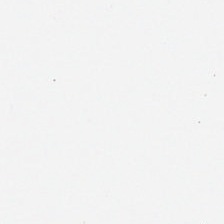Stain: H&E stain.
Resolution: 20× equivalent magnification.
Content: empty background.
